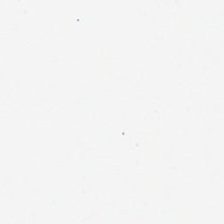{"content": "background"}
